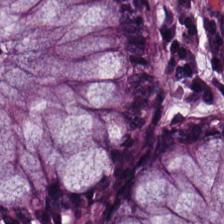Hematoxylin and eosin.
Tissue class: normal colon mucosa.
